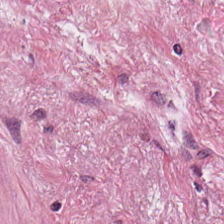Whole-slide-image patch · hematoxylin and eosin · 224×224 px patch — Predominant tissue: tumor stroma.
